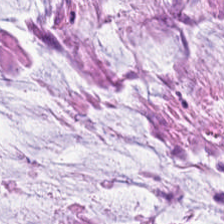Hematoxylin-and-eosin stained section; 0.5 µm per pixel.
The predominant tissue is mucin.
